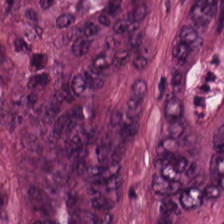Hematoxylin-and-eosin stained section · 20× equivalent magnification · 224×224 px patch.
Classification — tumor epithelium.
